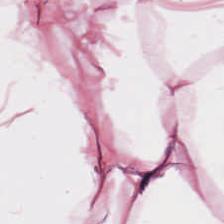H&E.
This patch shows adipose tissue.
